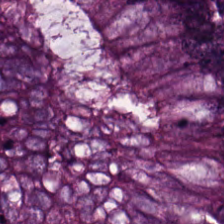{"tissue_type": "malignant epithelium"}
